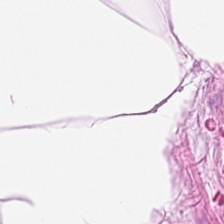224×224 px tile · H&E.
Q: What is the predominant tissue type?
A: Fat tissue.
